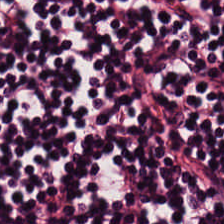Hematoxylin and eosin; 0.5 µm/px.
This patch shows lymphoid infiltrate.
